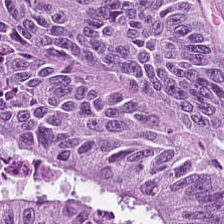Predominantly colorectal adenocarcinoma epithelium.
